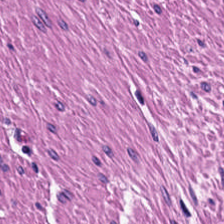Predominant tissue: smooth muscle.
